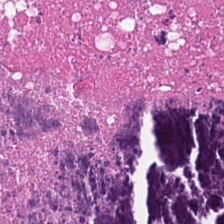0.5 µm per pixel · hematoxylin and eosin. Q: Classify this patch.
A: Debris.
